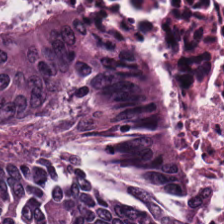H&E stain. Tissue type = adenocarcinoma.
